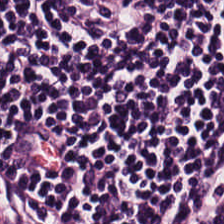Hematoxylin and eosin — Classification = lymphoid infiltrate.
